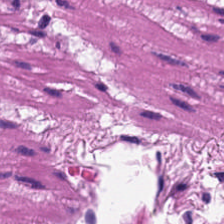Formalin-fixed paraffin-embedded section; H&E-stained tissue section — Predominantly smooth muscle.
